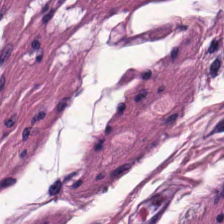H&E stain. Histology — smooth-muscle tissue.
